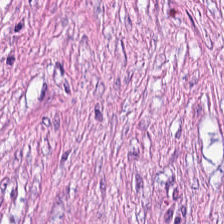H&E. 224×224 px tile.
This patch shows tumor-associated stroma.
